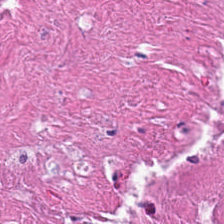Finding → debris.
